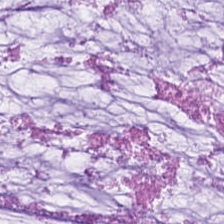Predominantly mucus.
